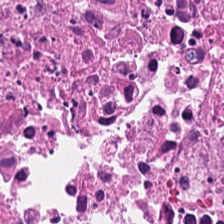H&E — Tissue type: debris.
